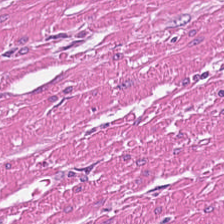H&E patch showing smooth-muscle tissue.
